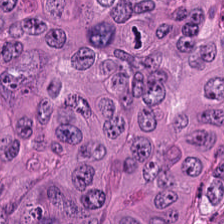H&E stain — Showing adenocarcinoma.
